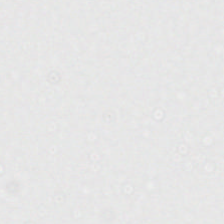This field is background (no tissue).
